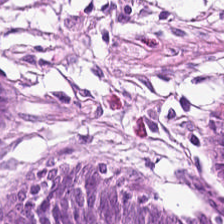Stain: hematoxylin-and-eosin stained section.
Tissue: benign colonic mucosa.
